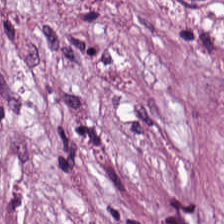H&E-stained tissue section — Classification: cancer-associated stroma.
